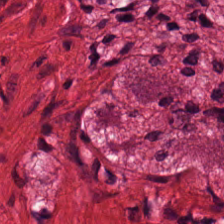H&E stain. This patch shows muscularis.
